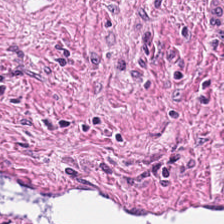Hematoxylin-and-eosin stained section.
Cancer-associated stroma.
